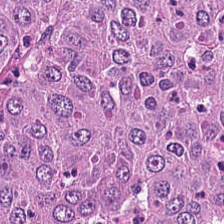This field is tumor epithelium.
